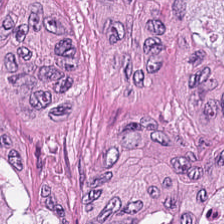Impression → malignant epithelium.
